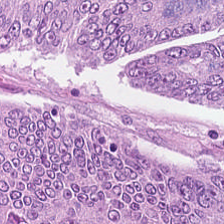Impression → adenocarcinoma.
